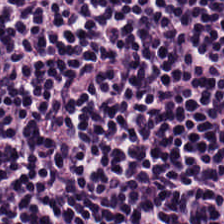H&E stain. 224×224 px tile. FFPE tissue section.
Predominantly lymphoid infiltrate.
